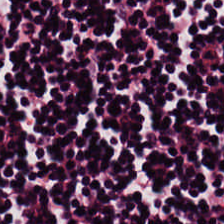Hematoxylin and eosin — This patch shows lymphocytic infiltrate.
